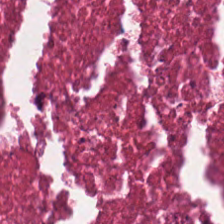Stain: H&E stain.
Classification: necrotic debris.
